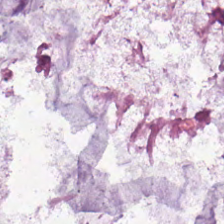0.5 µm per pixel; H&E stain — This field is extracellular mucin.
